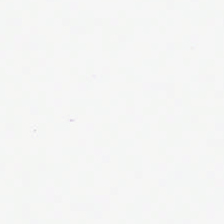Hematoxylin-and-eosin stained section. Whole-slide-image patch. Formalin-fixed paraffin-embedded section. Q: What is shown in this field?
A: It is background (no tissue).
